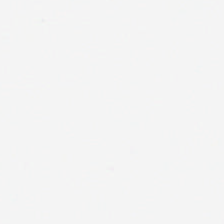H&E stain. Field content = background (no tissue).
